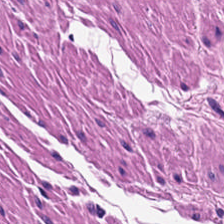224×224 px patch. Brightfield microscopy. Hematoxylin and eosin.
This patch shows muscularis.
